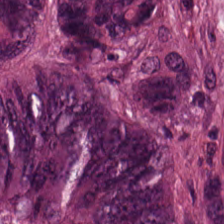H&E-stained tissue section.
Q: What is shown here?
A: It is adenocarcinoma.
